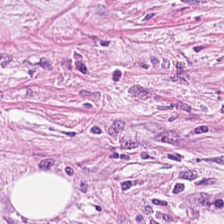The predominant tissue is cancer-associated stroma.
